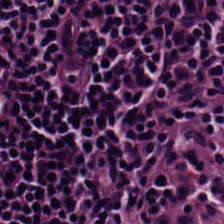Brightfield; H&E stain; 224×224 px patch.
Showing lymphoid infiltrate.
